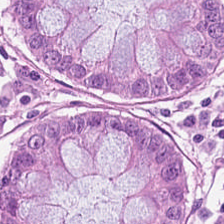Predominantly normal colon mucosa.
